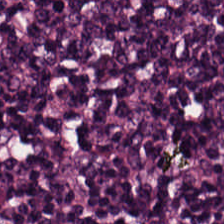H&E-stained tissue section showing lymphocyte aggregate.
